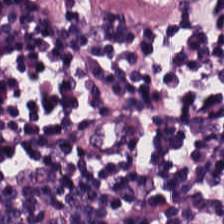224×224 px patch · hematoxylin and eosin · 0.5 µm per pixel — Tissue class = lymphocyte aggregate.
